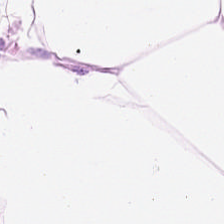Tissue class: adipose.
